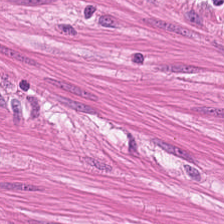H&E stain. Predominantly smooth-muscle tissue.
